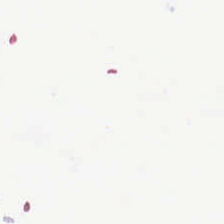No tissue.
